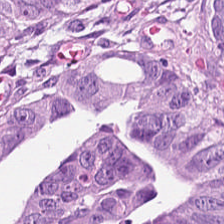Formalin-fixed paraffin-embedded section. H&E-stained tissue section. 224×224 px patch — The predominant tissue is tumor epithelium.
